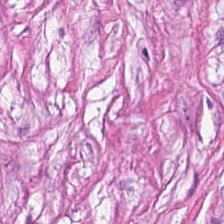Hematoxylin-and-eosin stained section. Q: What is shown here?
A: This is tumor-associated stroma.
